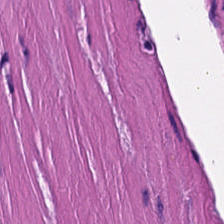Whole-slide-image patch · H&E stain — Histology → smooth muscle.
